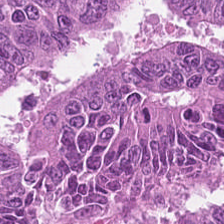H&E-stained tissue section.
{"tissue_type": "adenocarcinoma"}
